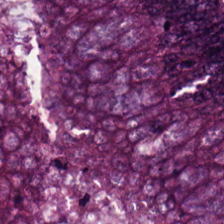Q: What tissue is shown?
A: This is colorectal adenocarcinoma.
